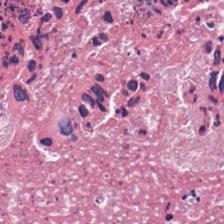Hematoxylin-and-eosin stained section — Showing debris.
